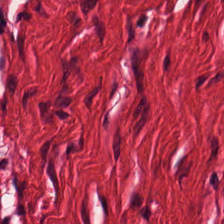0.5 µm per pixel · hematoxylin and eosin · whole-slide-image patch.
{"tissue_type": "muscularis"}
